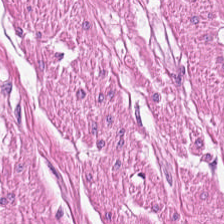Predominant tissue: smooth-muscle tissue.
